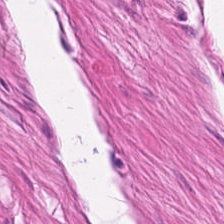Stain: hematoxylin-and-eosin stained section.
Resolution: 0.5 µm/px.
Tissue class: muscularis.
